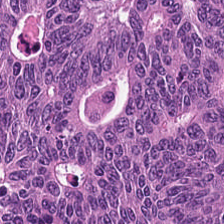Stain: hematoxylin-and-eosin stained section.
Resolution: 0.5 microns per pixel.
Tissue: colorectal adenocarcinoma.
